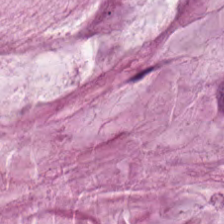Stain: H&E stain.
Tissue class: mucus.
